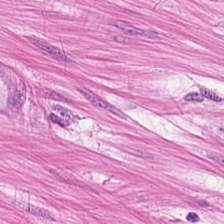Predominant tissue = smooth muscle.
